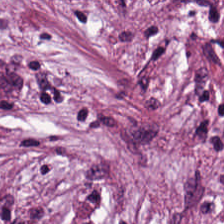Hematoxylin and eosin — Cancer-associated stroma.
